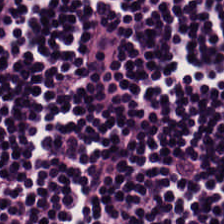H&E stain. The tissue here is lymphoid infiltrate.
